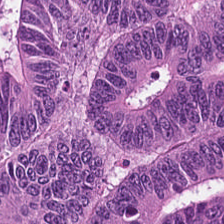Tissue: malignant epithelium.
